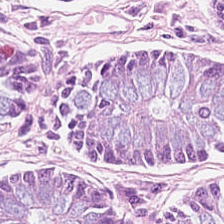FFPE; 224×224 px tile; H&E stain. Histology — normal colonic mucosa.
